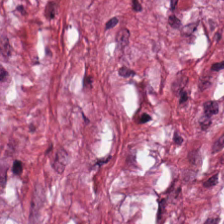This patch shows tumor stroma.
